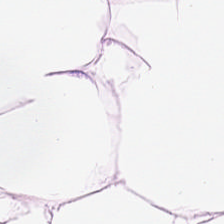H&E-stained tissue section. FFPE tissue section. Whole-slide-image patch.
Classification: adipocytes.
